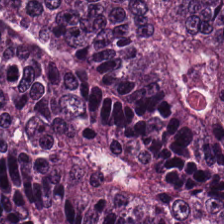Hematoxylin-and-eosin stained section; WSI patch — This field is tumor epithelium.
